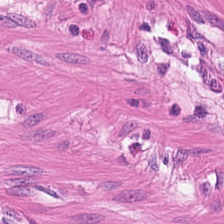H&E · 0.5 µm/px. The tissue class is smooth-muscle tissue.
